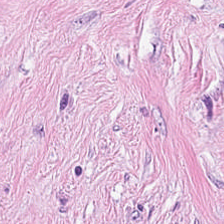H&E — Tissue type: tumor stroma.
